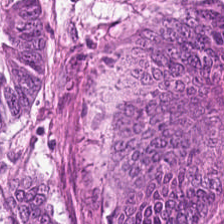H&E stain. Tissue: tumor epithelium.
